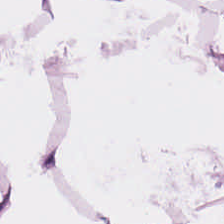Brightfield · hematoxylin-and-eosin stained section. Adipose.
